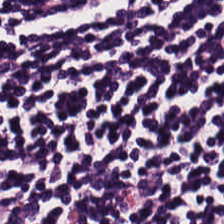Whole-slide-image patch. H&E. The tissue here is lymphocyte aggregate.
